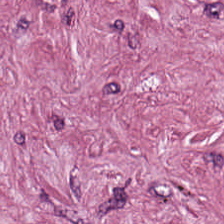0.5 microns per pixel; hematoxylin-and-eosin stained section; 224×224 pixel tile.
Tumor-associated stroma.
